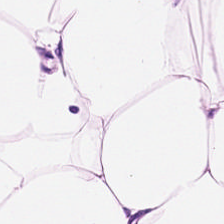Tissue class: adipocytes.
